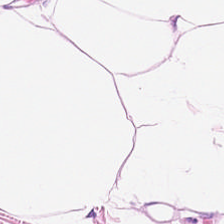H&E-stained section; the field shows adipocytes.
